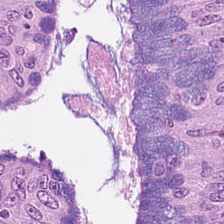224×224 pixel tile. Hematoxylin-and-eosin stained section.
Q: What is the predominant tissue type?
A: Adenocarcinoma.
